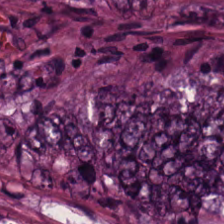Stain: H&E stain.
Classification: colorectal adenocarcinoma.
